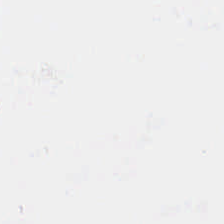WSI patch; H&E — Q: What is shown in this field?
A: Background (no tissue).
